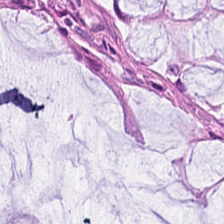H&E patch showing benign colonic mucosa.
